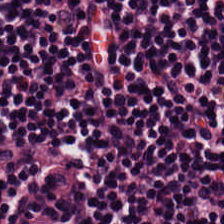Showing lymphocyte aggregate.
